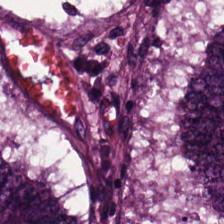Formalin-fixed paraffin-embedded section; hematoxylin and eosin — The predominant tissue is tumor epithelium.
